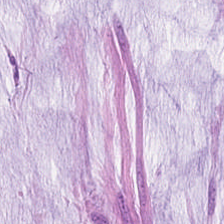H&E-stained tissue section · 0.5 µm/px — The tissue is extracellular mucin.
